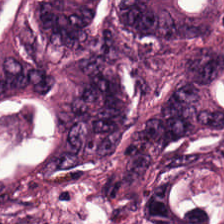H&E stain.
Tumor epithelium.
